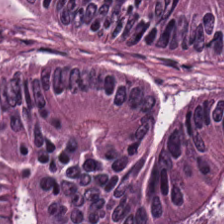The tissue class is colorectal adenocarcinoma epithelium.
